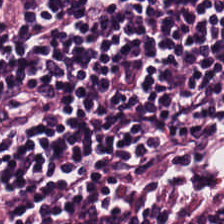H&E stain.
Q: What tissue is shown?
A: Lymphocytic infiltrate.
